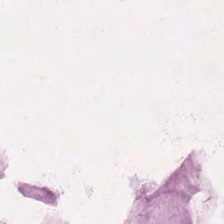Stain: H&E.
Tissue class: mucin.
